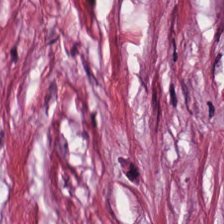This patch shows desmoplastic stroma.
